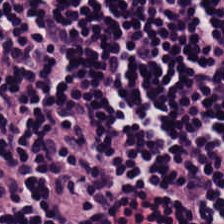H&E.
Q: What is shown here?
A: The field shows lymphocytes.
